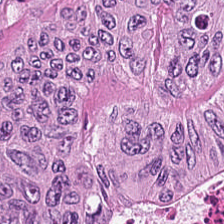224×224 pixel tile. H&E stain.
Tissue — tumor epithelium.
